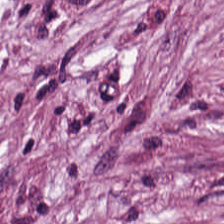The tissue type is desmoplastic stroma.
